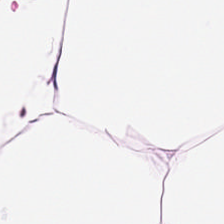Hematoxylin-and-eosin stained section; WSI patch. Adipocytes.
